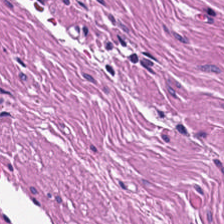Stain: H&E.
Tissue type: muscularis.
